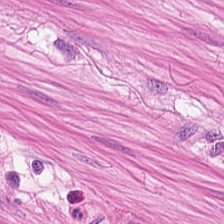224×224 pixel tile; H&E; brightfield — Q: What is shown in this field?
A: It is smooth-muscle tissue.
